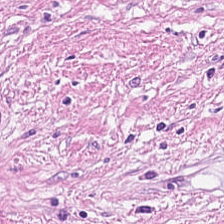Tissue class = desmoplastic stroma.
